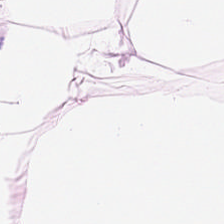0.5 µm/px; H&E stain. This patch shows adipose tissue.
